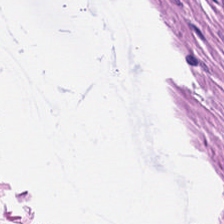Q: What type of tissue is this?
A: This is smooth muscle.
